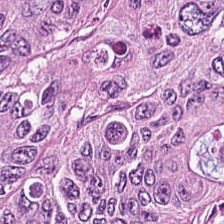Tissue class — tumor epithelium.
